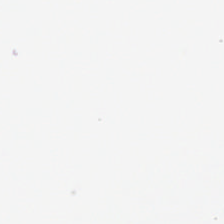Hematoxylin-and-eosin stained section. No tissue.
